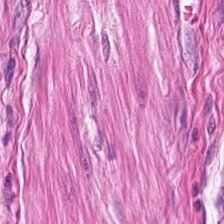Brightfield · H&E stain. Predominant tissue = muscularis.
